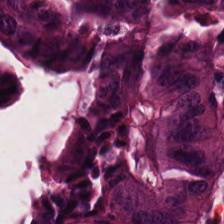H&E.
Predominantly colorectal adenocarcinoma.
